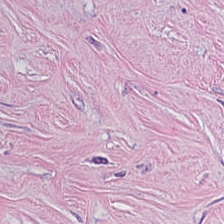Hematoxylin-and-eosin stained section — Q: What type of tissue is this?
A: Tumor-associated stroma.
